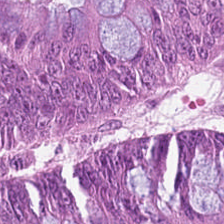Adenocarcinoma.
